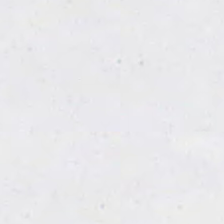Hematoxylin and eosin. Empty field — empty background.
